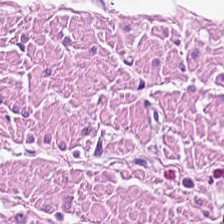224×224 px tile · hematoxylin and eosin — Tissue: smooth-muscle tissue.
